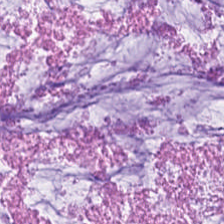Predominantly mucin.
